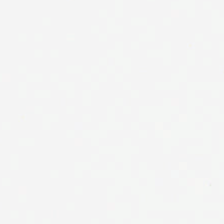Stain: H&E.
Preparation: FFPE.
Content: background.
